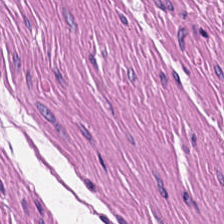Stain: hematoxylin-and-eosin stained section.
Tissue class: muscularis.
